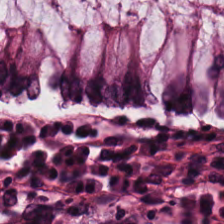Q: What is the predominant tissue type?
A: This is benign colonic mucosa.
